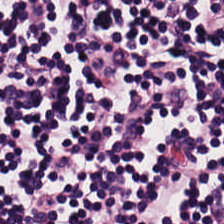H&E. Showing lymphoid infiltrate.
